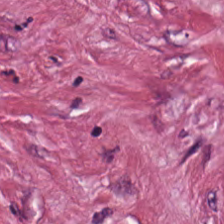Predominant tissue = cancer-associated stroma.
